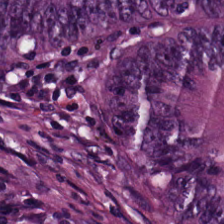Finding → tumor epithelium.
